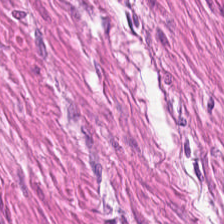{"tissue_type": "smooth muscle"}
